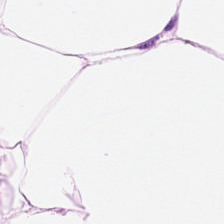H&E — adipocytes.
